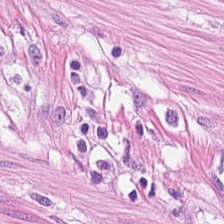Q: What type of tissue is this?
A: It is smooth muscle.
